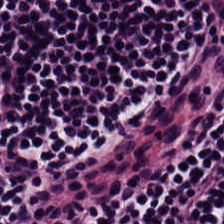Stain: H&E-stained tissue section.
Resolution: 0.5 µm/px.
Classification: lymphocyte aggregate.
